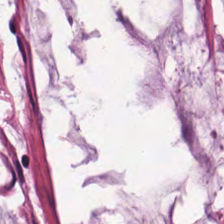Finding → extracellular mucin.
